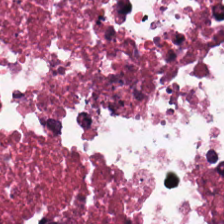Hematoxylin-and-eosin section: debris.
